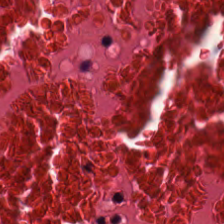0.5 µm per pixel · hematoxylin-and-eosin stained section.
Tissue type — debris.
